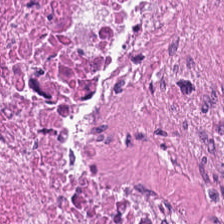FFPE. H&E stain. The tissue here is cellular debris.
